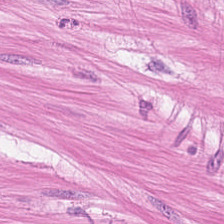Stain: H&E.
Tile size: 224×224 pixel tile.
Tissue class: smooth-muscle tissue.
